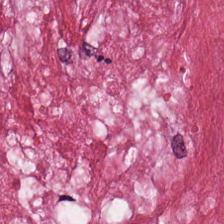Hematoxylin-and-eosin section: tumor stroma.
